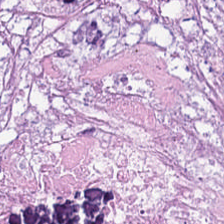Stain: H&E-stained tissue section.
Resolution: 0.5 µm/px.
Tissue type: debris.
